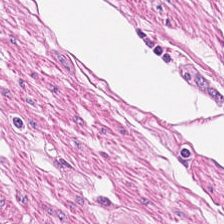Hematoxylin-and-eosin stained section; brightfield microscopy.
This field is smooth muscle.
